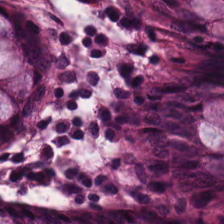0.5 microns per pixel. Hematoxylin and eosin. The predominant tissue is normal colonic mucosa.
